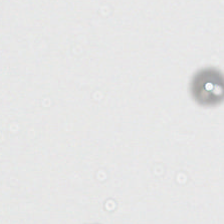Histology — empty background.
